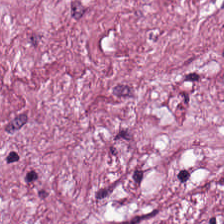Brightfield microscopy · hematoxylin and eosin · FFPE tissue section — This patch shows cancer-associated stroma.
